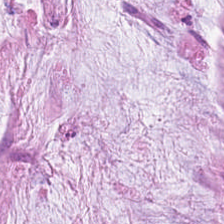Predominantly mucus.
